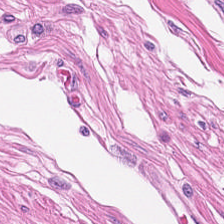Stain: hematoxylin and eosin.
Classification: muscularis.
